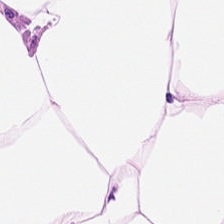{"tissue_type": "adipocytes"}
